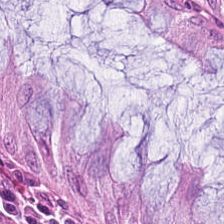224×224 px patch · hematoxylin and eosin · whole-slide-image patch.
Tissue type — normal colon mucosa.
